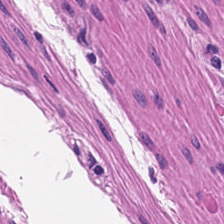Stain: hematoxylin-and-eosin stained section.
Preparation: FFPE tissue section.
Predominant tissue: smooth-muscle tissue.
